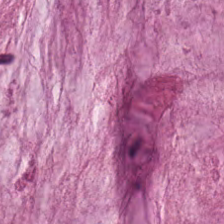Stain: H&E.
Tissue: mucin.
